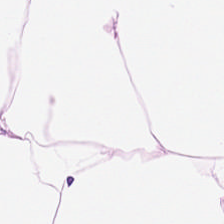FFPE · H&E.
Showing adipose.
